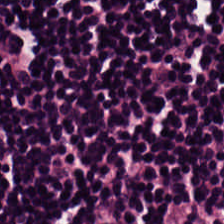20× equivalent magnification. Hematoxylin and eosin. Formalin-fixed paraffin-embedded section. Tissue: lymphocytes.
